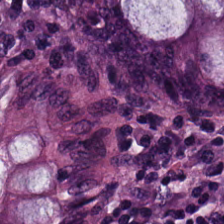Stain: H&E stain.
Tissue type: normal colon mucosa.
